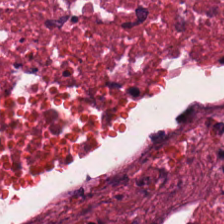The tissue here is debris.
